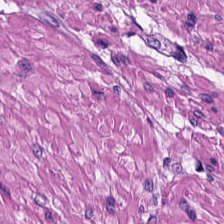Q: What is the predominant tissue type?
A: Smooth-muscle tissue.
